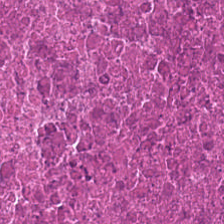0.5 µm per pixel · H&E-stained tissue section — Q: What is shown here?
A: Cellular debris.
